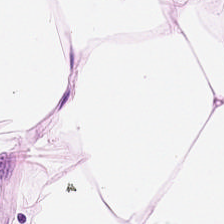224×224 pixel tile · H&E-stained tissue section. This patch shows adipose tissue.
